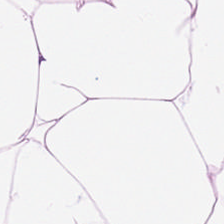{"tissue_type": "adipose"}
